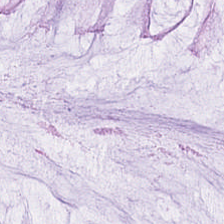224×224 px tile · 20× equivalent magnification · hematoxylin and eosin.
Predominant tissue = normal colonic mucosa.
